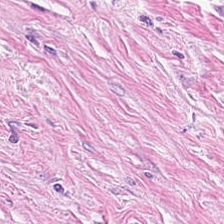Hematoxylin and eosin — {"tissue_type": "cancer-associated stroma"}
